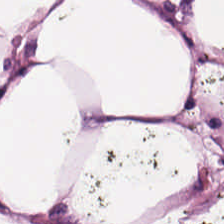Whole-slide-image patch. H&E — Predominant tissue — adipocytes.
